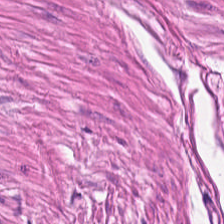0.5 µm/px. WSI patch. Hematoxylin-and-eosin stained section. Showing smooth muscle.
